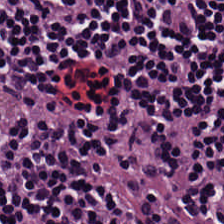224×224 px patch; H&E stain. Q: What type of tissue is this?
A: It is lymphocytic infiltrate.
